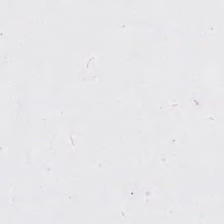H&E — Background — no tissue in this field.
